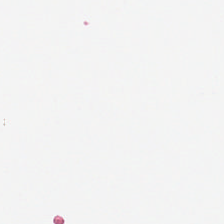Content = background.
